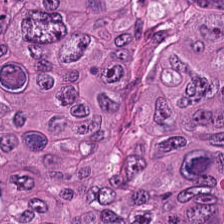This patch shows malignant epithelium.
